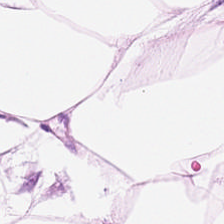The classification is adipose tissue.
